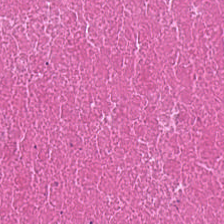Hematoxylin-and-eosin stained section; 224×224 pixel tile.
Tissue class — cellular debris.
